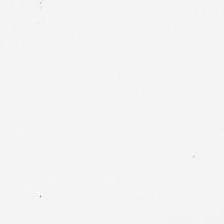Q: What is shown in this field?
A: The field shows background (no tissue).
